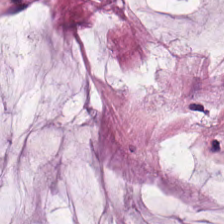Q: What is shown in this field?
A: Mucus.
